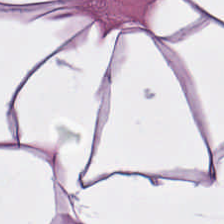This field is fat tissue.
